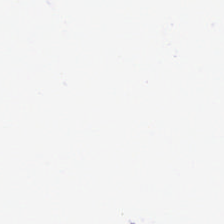H&E-stained tissue section. Impression — empty background.
